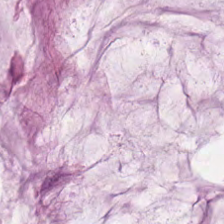0.5 µm/px · hematoxylin-and-eosin stained section.
This field is mucus.
